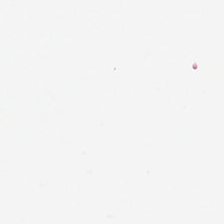This patch shows background (no tissue).
